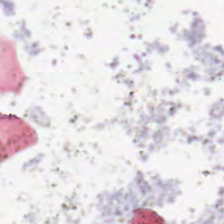H&E stain — Content — no tissue.
